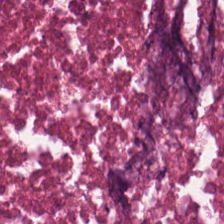0.5 microns per pixel; brightfield; H&E-stained tissue section.
Q: What is the predominant tissue type?
A: It is debris.
